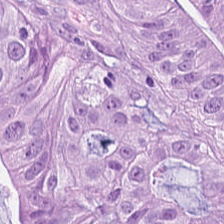224×224 px patch; hematoxylin-and-eosin stained section. The tissue here is tumor epithelium.
